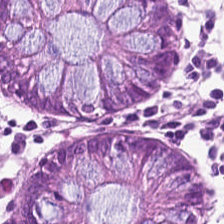H&E. {"tissue_type": "benign colonic mucosa"}
